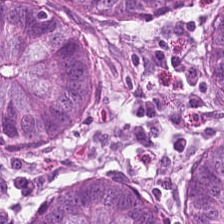This field is non-neoplastic colon mucosa.
